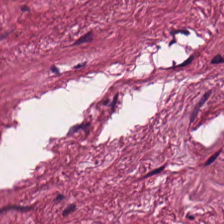Stain: H&E-stained tissue section.
Acquisition: brightfield microscopy.
Tissue: tumor-associated stroma.
